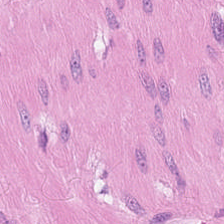FFPE. H&E-stained tissue section — Classification = smooth muscle.
